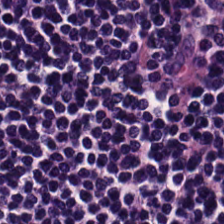Hematoxylin-and-eosin stained section — This patch shows lymphocytes.
